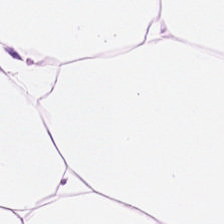H&E stain.
This field is fat tissue.
